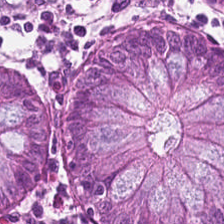Hematoxylin and eosin. Tissue = benign colonic mucosa.
